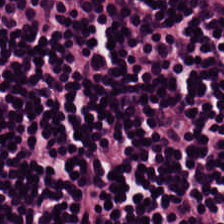Q: Identify the tissue.
A: It is lymphocytic infiltrate.
